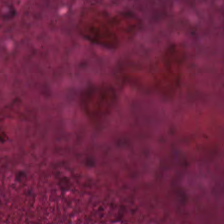224×224 px patch; hematoxylin and eosin; formalin-fixed paraffin-embedded section — This patch shows necrotic debris.
